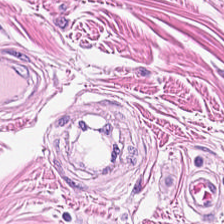Hematoxylin-and-eosin stained section. 0.5 µm/px.
Histology → smooth-muscle tissue.
